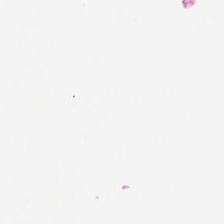0.5 microns per pixel · H&E · WSI patch.
Q: What is shown in this field?
A: It is background (no tissue).
